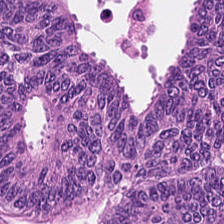Hematoxylin-and-eosin stained section.
Predominantly adenocarcinoma.
